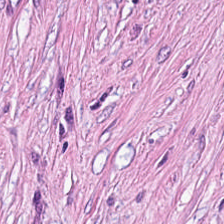Classification: tumor-associated stroma.
